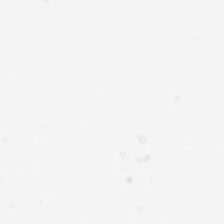H&E stain — Impression → background.
